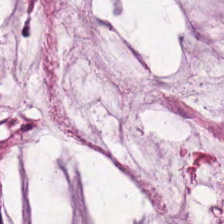H&E-stained tissue section.
The tissue here is mucin.
